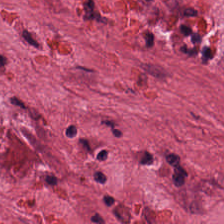Hematoxylin and eosin.
The tissue here is tumor-associated stroma.
